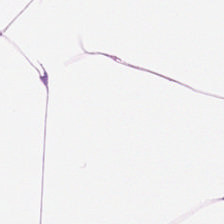Tissue = adipose.
